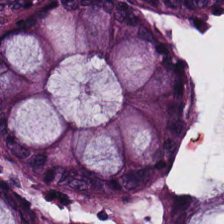Stain: H&E stain.
Predominant tissue: normal colon mucosa.
